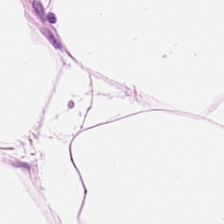0.5 µm per pixel · H&E stain. This patch shows fat tissue.
